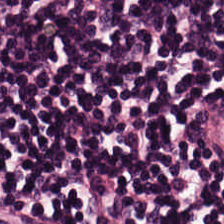H&E — Tissue class — lymphocyte aggregate.
